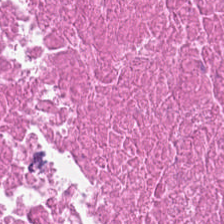Finding — cellular debris.
